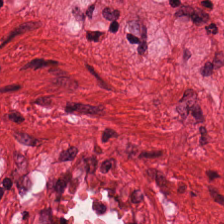H&E. Q: Classify this patch.
A: This is muscularis.
